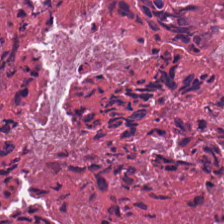Hematoxylin-and-eosin stained section — The predominant tissue is necrotic debris.
